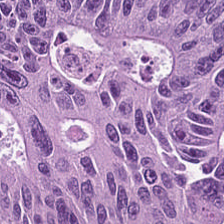H&E stain; brightfield microscopy. Histology → colorectal adenocarcinoma.
